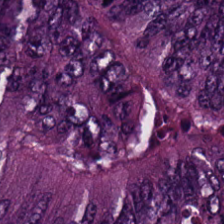Stain: H&E.
Predominant tissue: colorectal adenocarcinoma epithelium.
